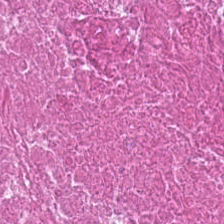Hematoxylin and eosin. Formalin-fixed paraffin-embedded section. The tissue here is cellular debris.
